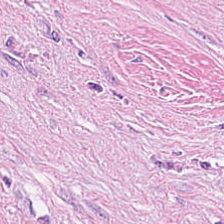The tissue here is cancer-associated stroma.
